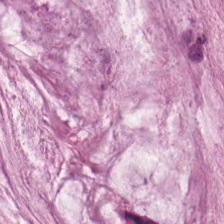H&E stain. Mucus.
